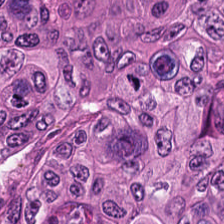Stain: hematoxylin-and-eosin stained section.
Tissue class: colorectal adenocarcinoma.
